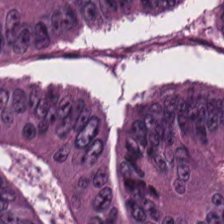Showing tumor epithelium.
